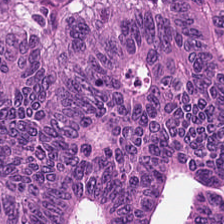H&E. Brightfield microscopy — The tissue here is tumor epithelium.
